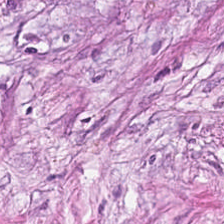Predominant tissue = desmoplastic stroma.
